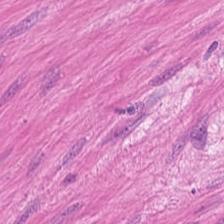FFPE tissue section · hematoxylin-and-eosin stained section.
Q: What is shown in this field?
A: This is smooth muscle.
